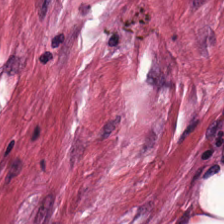Hematoxylin-and-eosin stained section. The tissue type is cancer-associated stroma.
